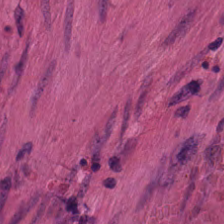Q: What tissue type is shown here?
A: It is smooth-muscle tissue.
